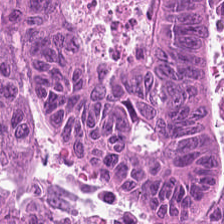Q: Identify the tissue.
A: It is colorectal adenocarcinoma epithelium.
